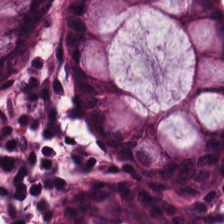Hematoxylin and eosin. 0.5 µm/px. Brightfield microscopy. Showing normal colon mucosa.
